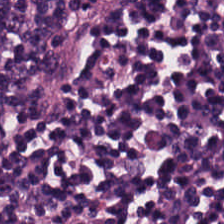Predominant tissue = lymphocytes.
